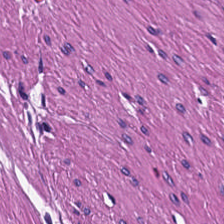Q: What is shown here?
A: This is smooth-muscle tissue.
